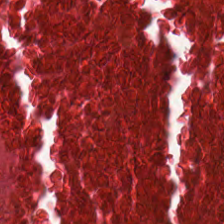The tissue type is necrotic debris.
